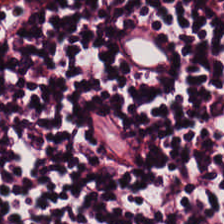H&E. The tissue here is lymphocyte aggregate.
